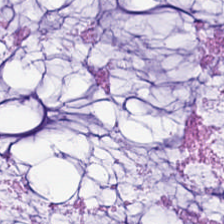H&E stain — The predominant tissue is mucin.
